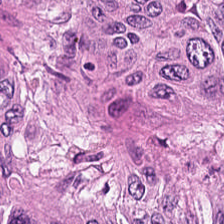H&E-stained tissue section · 0.5 µm per pixel. Showing adenocarcinoma.
